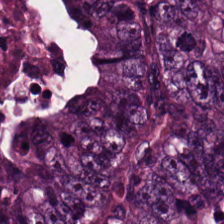Hematoxylin-and-eosin section: tumor epithelium.
